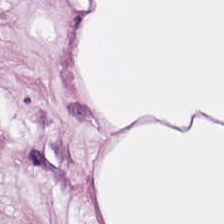Tissue class = adipose tissue.
